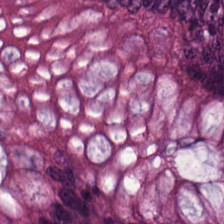Classification = non-neoplastic colon mucosa.
